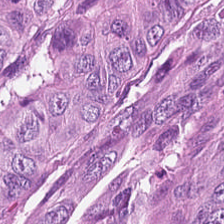0.5 µm per pixel · 224×224 px tile · H&E. Tissue: colorectal adenocarcinoma.
